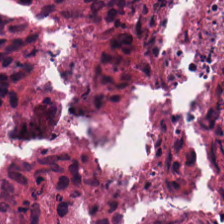Tissue type — cellular debris.
